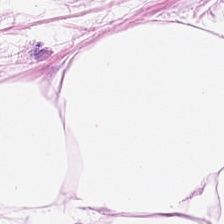Impression — adipocytes.
